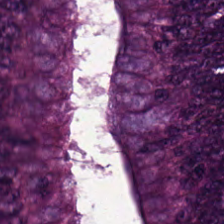Formalin-fixed paraffin-embedded section. H&E. Q: Identify the tissue.
A: It is malignant epithelium.
